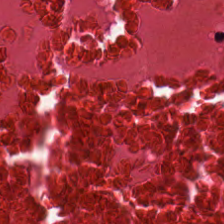Stain: H&E-stained tissue section.
Preparation: FFPE.
Classification: debris.
